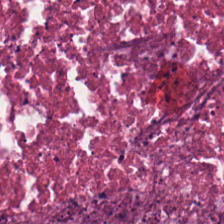Hematoxylin-and-eosin stained section — Finding → debris.
